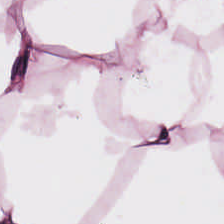Formalin-fixed paraffin-embedded section · H&E · 224×224 pixel tile — Tissue type = adipose.
